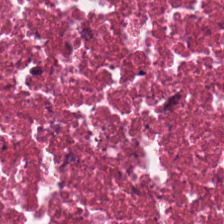Hematoxylin and eosin — Showing debris.
